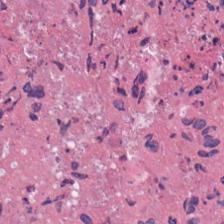Q: Classify this patch.
A: This is cellular debris.
